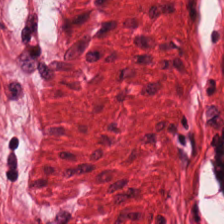{"tissue_type": "muscularis"}
